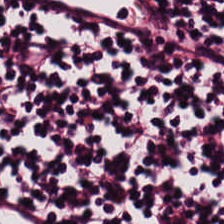Q: What does this patch show?
A: Lymphocytic infiltrate.
